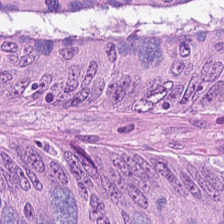Whole-slide-image patch. H&E stain. 20× equivalent magnification — The tissue is tumor epithelium.
